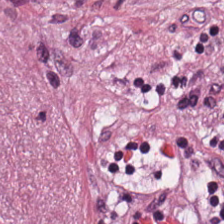The tissue class is cancer-associated stroma.
